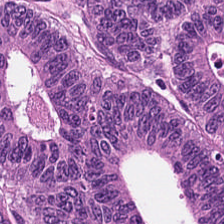Stain: hematoxylin-and-eosin stained section.
Tissue class: tumor epithelium.
